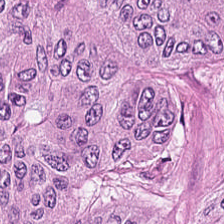Formalin-fixed paraffin-embedded section. H&E stain.
Q: What is shown in this field?
A: It is adenocarcinoma.
